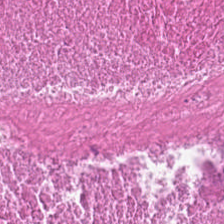Hematoxylin-and-eosin stained section.
The predominant tissue is debris.
